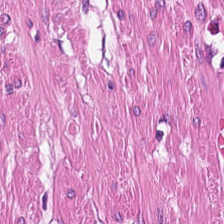Tissue type — smooth-muscle tissue.
